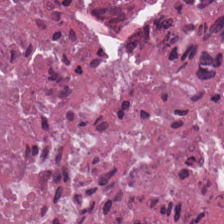H&E stain; 0.5 µm per pixel; brightfield microscopy.
Tissue class = debris.
